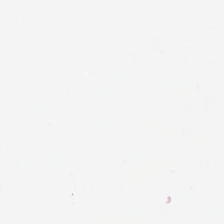H&E-stained tissue section · 0.5 microns per pixel · formalin-fixed paraffin-embedded section — This field is background (no tissue).
